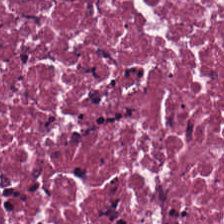Finding — debris.
